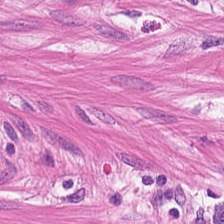Whole-slide-image patch; hematoxylin and eosin.
This field is smooth-muscle tissue.
